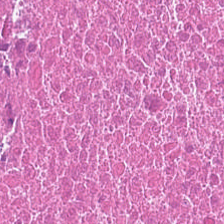H&E-stained tissue section; formalin-fixed paraffin-embedded section; 224×224 px tile.
Finding — necrotic debris.
